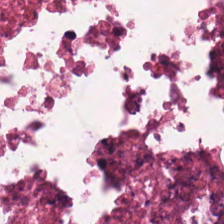FFPE tissue section · H&E — This field is debris.
